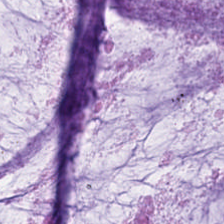Hematoxylin-and-eosin stained section — Q: What tissue type is shown here?
A: Mucus.
